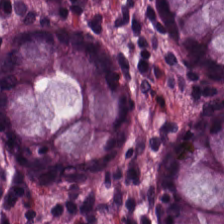Stain: H&E.
Tissue: benign colonic mucosa.
